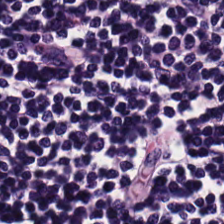Hematoxylin-and-eosin stained section · 0.5 µm/px — The predominant tissue is lymphoid infiltrate.
